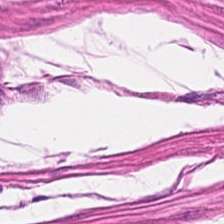Tissue = smooth-muscle tissue.
